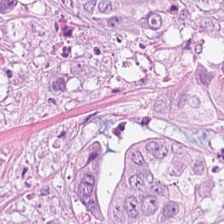Hematoxylin and eosin · 0.5 µm per pixel. Predominantly malignant epithelium.
